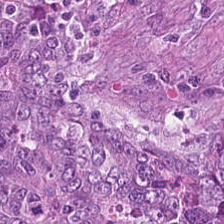H&E-stained tissue section.
Colorectal adenocarcinoma.
